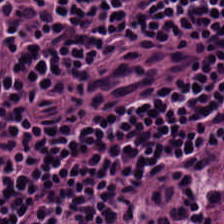Q: What tissue is shown?
A: This is lymphocytic infiltrate.
